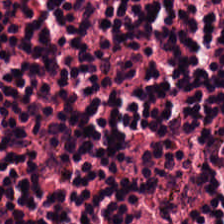{"tissue_type": "lymphoid infiltrate"}
